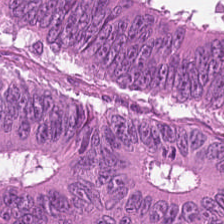WSI patch; H&E-stained tissue section — The tissue here is malignant epithelium.
